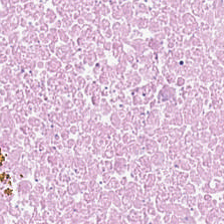Stain: hematoxylin-and-eosin stained section.
Tile size: 224×224 px tile.
Predominant tissue: necrotic debris.
